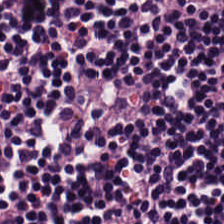Hematoxylin-and-eosin stained section · 224×224 px tile — Predominantly lymphocyte aggregate.
